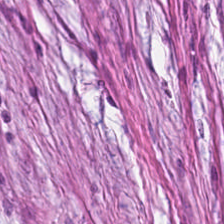H&E-stained tissue section; formalin-fixed paraffin-embedded section.
The tissue here is tumor stroma.
